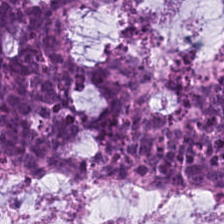FFPE tissue section. Hematoxylin-and-eosin stained section — Predominantly mucus.
